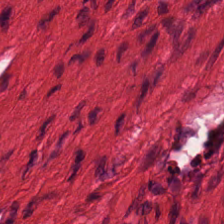H&E stain; 224×224 px patch; whole-slide-image patch.
Impression — smooth-muscle tissue.
